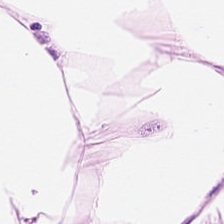H&E stain — Tissue type — fat tissue.
